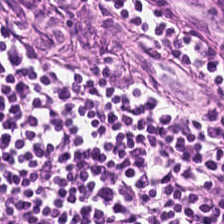Formalin-fixed paraffin-embedded section. H&E stain. Classification: lymphocyte aggregate.
